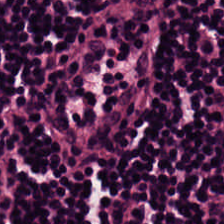H&E stain; 0.5 µm/px; FFPE tissue section.
Histology — lymphocytes.
